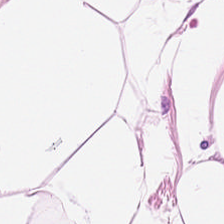H&E — {"tissue_type": "adipose"}
